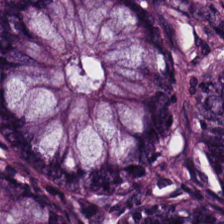Stain: H&E stain.
Classification: non-neoplastic colon mucosa.
